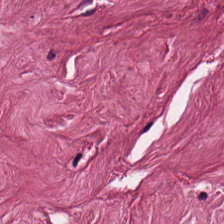Tumor-associated stroma.
